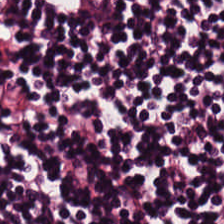Hematoxylin-and-eosin stained section — {"tissue_type": "lymphoid infiltrate"}
